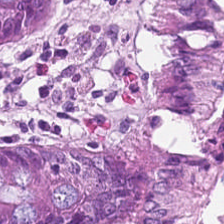Hematoxylin-and-eosin section: normal colon mucosa.
